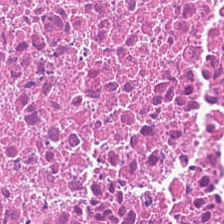H&E. The predominant tissue is debris.
